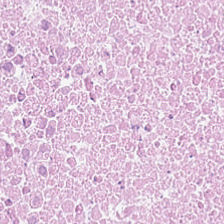224×224 px patch · brightfield microscopy · H&E. The tissue here is necrotic debris.
